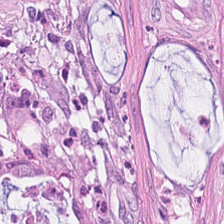Hematoxylin-and-eosin stained section.
Tissue class: tumor stroma.
